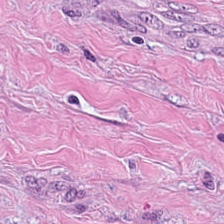The predominant tissue is tumor-associated stroma.
